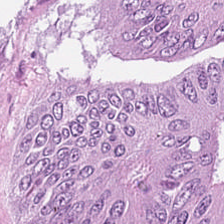Stain: H&E.
Tile size: 224×224 px patch.
Tissue class: malignant epithelium.
